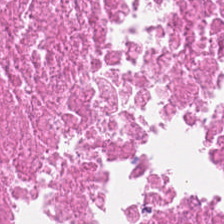FFPE tissue section · brightfield microscopy · hematoxylin-and-eosin stained section. Q: What tissue type is shown here?
A: The field shows cellular debris.
